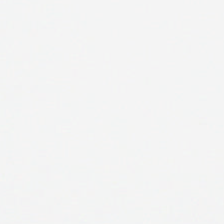Hematoxylin-and-eosin stained section · brightfield microscopy · 224×224 pixel tile.
Classification: no tissue.
